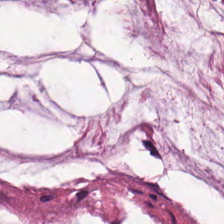0.5 µm per pixel. 224×224 px tile. Hematoxylin and eosin — The classification is extracellular mucin.
